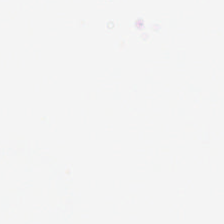Stain: H&E-stained tissue section.
Content: empty background.
